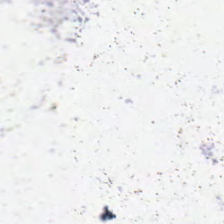Q: What is shown in this field?
A: It is empty background.
